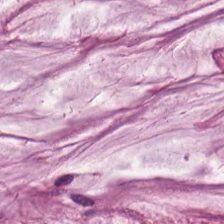224×224 px tile; hematoxylin-and-eosin stained section — Classification = extracellular mucin.
